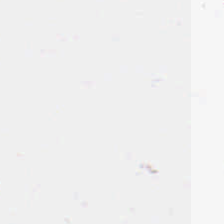H&E-stained tissue section · 224×224 px patch · whole-slide-image patch — Field content = empty background.
